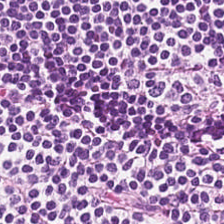Predominant tissue = lymphoid infiltrate.
